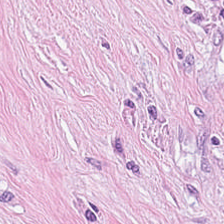H&E. 224×224 px tile. Brightfield. The predominant tissue is tumor stroma.
